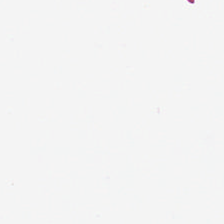H&E-stained tissue section · 0.5 microns per pixel · formalin-fixed paraffin-embedded section — {"content": "background"}
